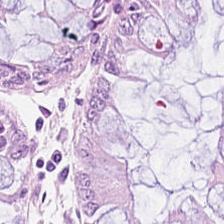H&E.
Normal colon mucosa.
